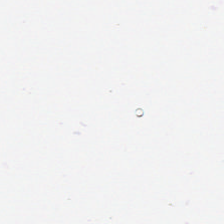This field is background (no tissue).
